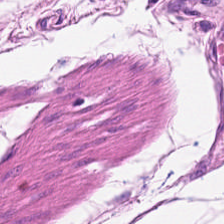H&E stain. FFPE.
Predominant tissue — smooth-muscle tissue.
